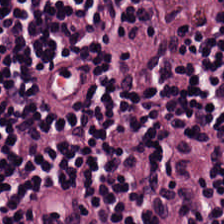Hematoxylin and eosin.
Predominantly lymphocytic infiltrate.
